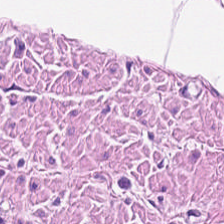224×224 px patch; hematoxylin and eosin — Tissue — muscularis.
